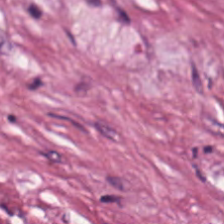Stain: H&E-stained tissue section.
Tissue: tumor-associated stroma.
